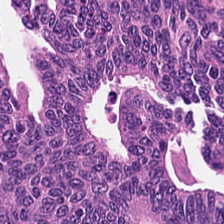H&E. This field is colorectal adenocarcinoma.
